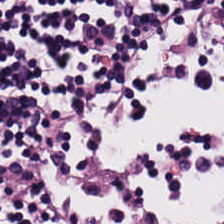H&E stain. Formalin-fixed paraffin-embedded section. Whole-slide-image patch — The tissue here is lymphocyte aggregate.
